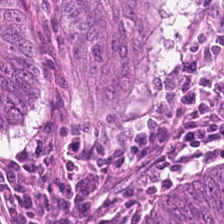FFPE; hematoxylin-and-eosin stained section.
The predominant tissue is malignant epithelium.
